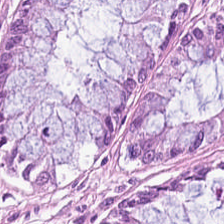H&E stain. Q: What tissue is shown?
A: The field shows non-neoplastic colon mucosa.
